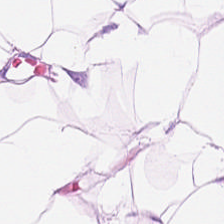H&E-stained tissue section. Brightfield microscopy — The predominant tissue is adipose.
